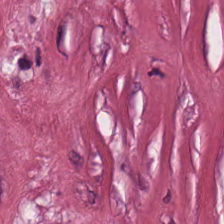H&E · WSI patch.
The classification is desmoplastic stroma.
